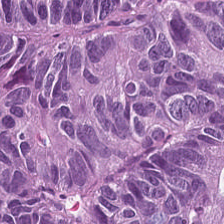This patch shows colorectal adenocarcinoma epithelium.
